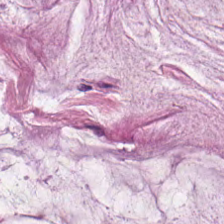H&E. {"tissue_type": "mucus"}
